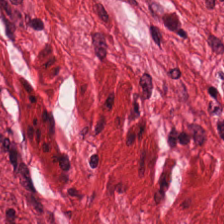Stain: H&E-stained tissue section.
Tissue class: smooth-muscle tissue.
